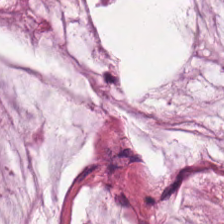Brightfield. H&E stain. The tissue class is extracellular mucin.
